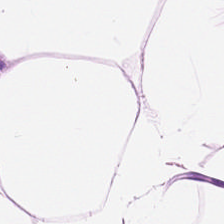H&E. Showing fat tissue.
